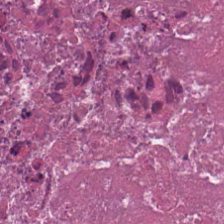0.5 µm per pixel. 224×224 pixel tile. H&E stain.
Histology → debris.
